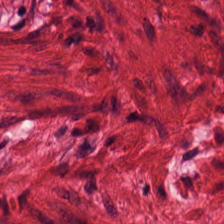H&E stain. Brightfield.
Q: Classify this patch.
A: The field shows smooth-muscle tissue.
